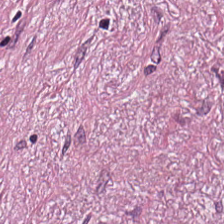Tissue class = desmoplastic stroma.
